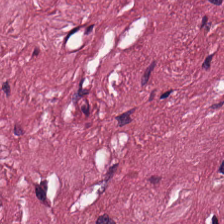The predominant tissue is tumor-associated stroma.
